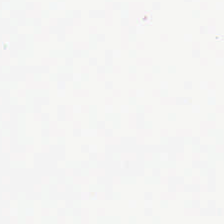0.5 µm/px; H&E stain — Q: Classify this patch.
A: No tissue.
